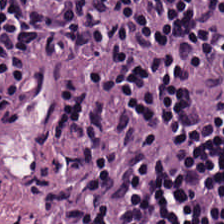H&E-stained tissue section; whole-slide-image patch; FFPE — Showing lymphoid infiltrate.
